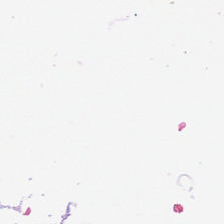H&E stain — Content = no tissue.
